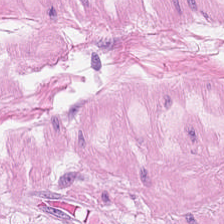Brightfield microscopy · 0.5 µm per pixel · H&E. The predominant tissue is smooth muscle.
